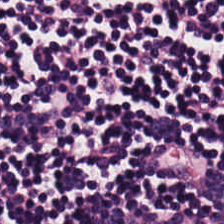H&E stain · brightfield · 20× equivalent magnification.
The predominant tissue is lymphocytic infiltrate.
